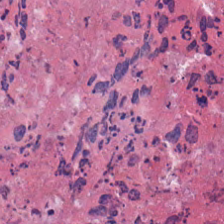Stain: H&E.
Tissue type: debris.
